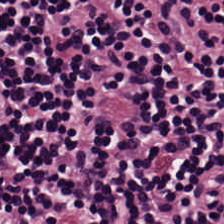FFPE tissue section. H&E stain — Q: What tissue type is shown here?
A: Lymphocytes.
